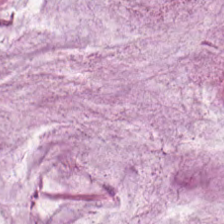H&E-stained tissue section.
The predominant tissue is mucus.
